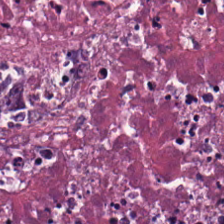0.5 µm/px · H&E-stained tissue section. The tissue here is debris.
